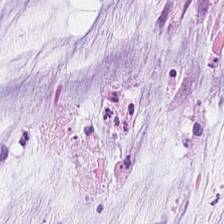Hematoxylin and eosin.
Histology — extracellular mucin.
